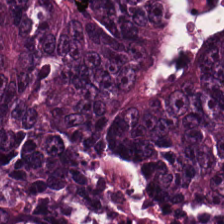H&E. Histology → adenocarcinoma.
